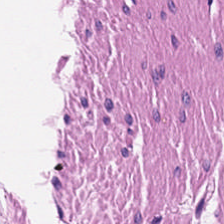H&E stain. Showing muscularis.
